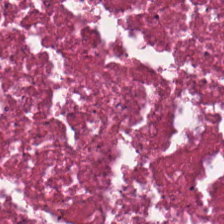H&E-stained tissue section. Predominant tissue: debris.
